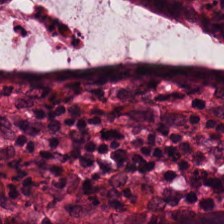Q: What is the predominant tissue type?
A: This is normal colon mucosa.
